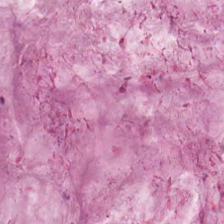0.5 µm per pixel. Formalin-fixed paraffin-embedded section. H&E stain.
Impression — mucus.
